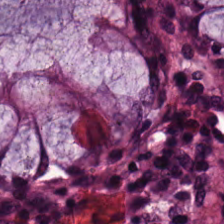H&E; 0.5 µm/px — The tissue here is normal colonic mucosa.
